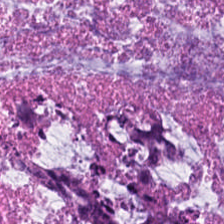0.5 microns per pixel; H&E; whole-slide-image patch — Impression — mucin.
